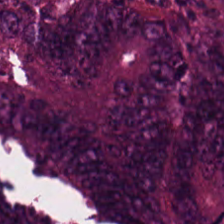H&E.
Finding → malignant epithelium.
